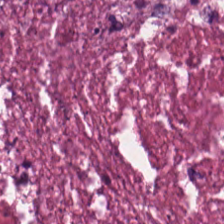The tissue class is necrotic debris.
